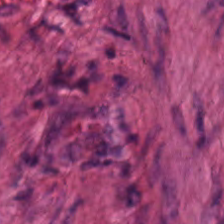H&E · formalin-fixed paraffin-embedded section. This field is muscularis.
